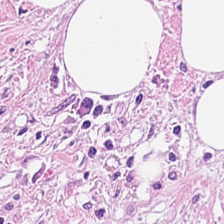H&E.
Histology — cancer-associated stroma.
